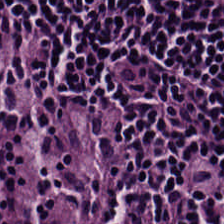Hematoxylin-and-eosin stained section — Tissue = lymphocyte aggregate.
